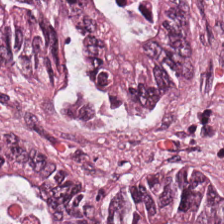Hematoxylin-and-eosin stained section; 224×224 px patch — {"tissue_type": "tumor epithelium"}
